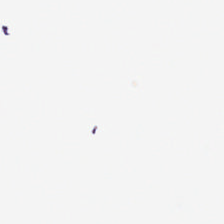H&E. Empty field — empty background.
